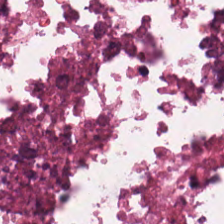Hematoxylin and eosin.
Histology — necrotic debris.
